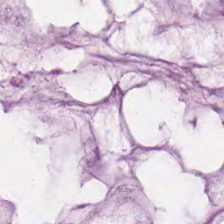Hematoxylin and eosin — Predominant tissue = mucin.
